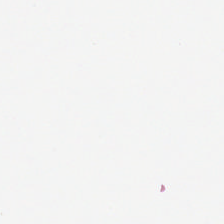Formalin-fixed paraffin-embedded section; H&E — This patch shows no tissue.
